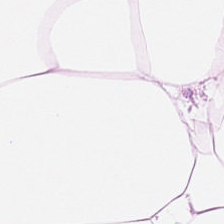H&E — Tissue = adipose.
